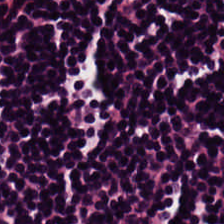Hematoxylin-and-eosin stained section.
The tissue type is lymphocytic infiltrate.
